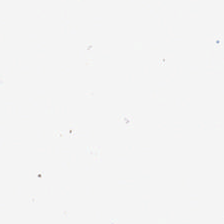Brightfield microscopy; hematoxylin and eosin.
The content is empty background.
